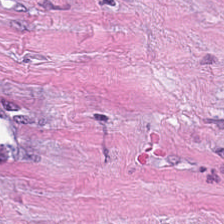Showing tumor-associated stroma.
